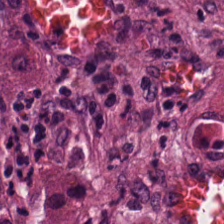Hematoxylin-and-eosin stained section — {"tissue_type": "desmoplastic stroma"}
